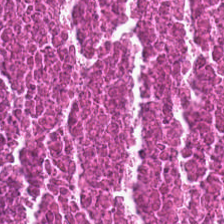H&E-stained tissue section. Whole-slide-image patch.
The predominant tissue is debris.
